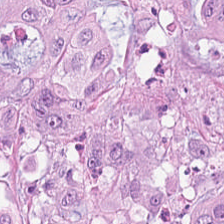Formalin-fixed paraffin-embedded section. H&E. 224×224 px patch. This patch shows adenocarcinoma.
